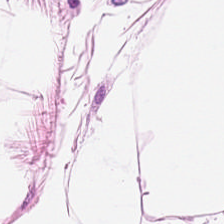Stain: H&E-stained tissue section.
Preparation: formalin-fixed paraffin-embedded section.
Classification: fat tissue.
